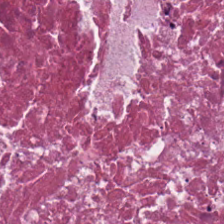Hematoxylin-and-eosin stained section · WSI patch. Predominant tissue: necrotic debris.
